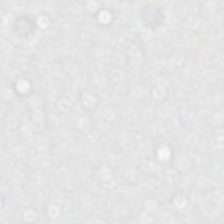This field is background (no tissue).
